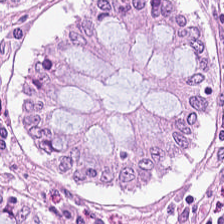H&E. Impression — non-neoplastic colon mucosa.
